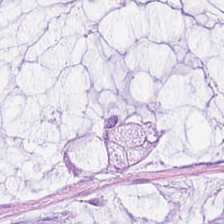H&E stain — Classification = extracellular mucin.
